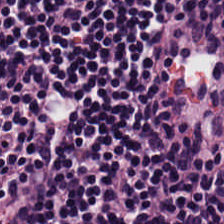Hematoxylin-and-eosin stained section; whole-slide-image patch. Showing lymphocytic infiltrate.
